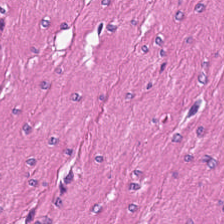224×224 px tile · H&E stain.
Q: What tissue type is shown here?
A: The field shows smooth muscle.
